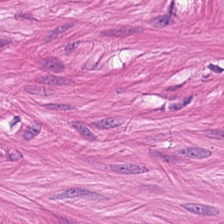Hematoxylin and eosin.
Predominantly smooth muscle.
